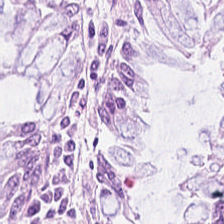H&E — Predominantly non-neoplastic colon mucosa.
